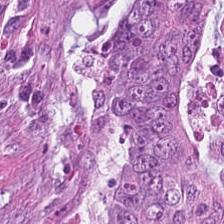Q: Classify this patch.
A: It is colorectal adenocarcinoma.
